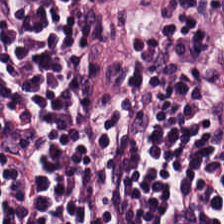Predominant tissue — lymphocytic infiltrate.
